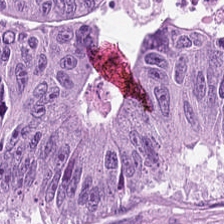WSI patch · H&E-stained tissue section. Q: What does this patch show?
A: Colorectal adenocarcinoma.
